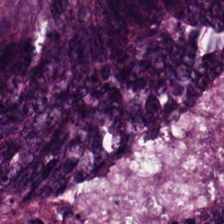Colorectal adenocarcinoma epithelium.
